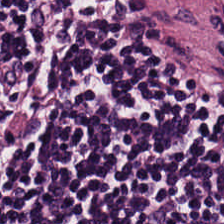The predominant tissue is lymphocyte aggregate.
